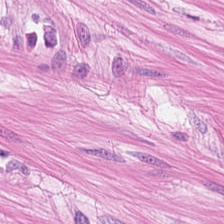Hematoxylin and eosin; FFPE; brightfield microscopy.
Classification — smooth muscle.
